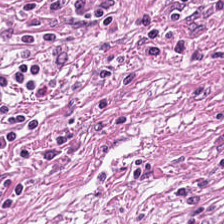H&E.
Showing cancer-associated stroma.
